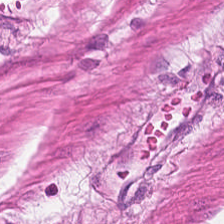224×224 px tile. H&E stain.
Predominantly smooth-muscle tissue.
